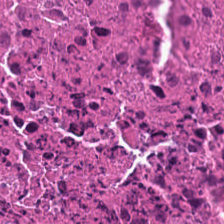0.5 µm per pixel; H&E — Debris.
